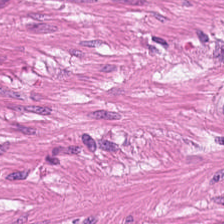Finding — muscularis.
